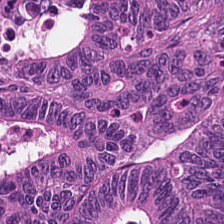FFPE tissue section · H&E.
Tumor epithelium.
